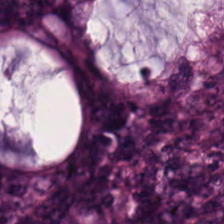0.5 microns per pixel · H&E — Colorectal adenocarcinoma epithelium.
